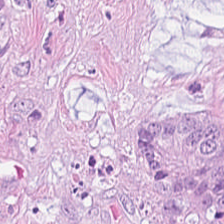H&E-stained tissue section. Malignant epithelium.
